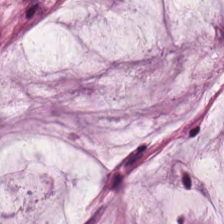Stain: hematoxylin-and-eosin stained section.
Resolution: 0.5 µm/px.
Acquisition: WSI patch.
Classification: extracellular mucin.
